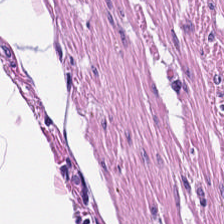Tissue type: smooth-muscle tissue.
